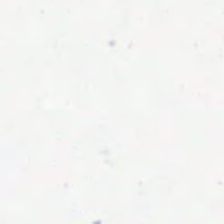Hematoxylin and eosin. Impression → background (no tissue).
